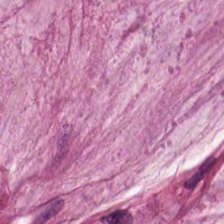Hematoxylin-and-eosin stained section.
Tissue type = extracellular mucin.
